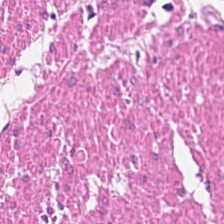H&E stain · 0.5 microns per pixel · FFPE — This field is smooth-muscle tissue.
